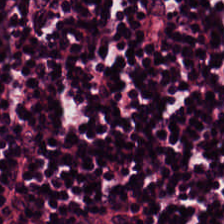Hematoxylin-and-eosin stained section. Q: What type of tissue is this?
A: It is lymphocytes.
